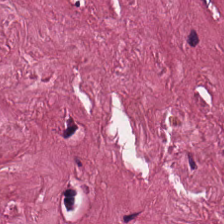Stain: hematoxylin and eosin.
Tissue: tumor-associated stroma.
